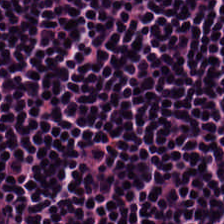{"tissue_type": "lymphocytic infiltrate"}
